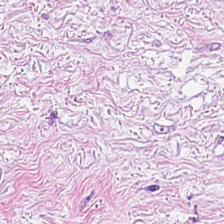H&E — {"tissue_type": "tumor-associated stroma"}
